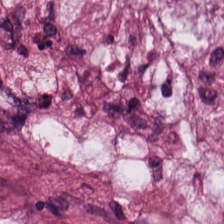H&E — mucus.
